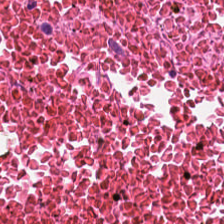Hematoxylin and eosin.
Predominantly necrotic debris.
